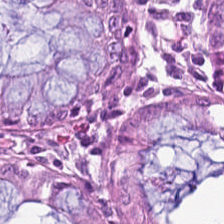H&E-stained tissue section — Classification: non-neoplastic colon mucosa.
